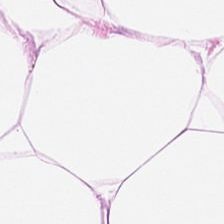H&E.
This patch shows adipocytes.
